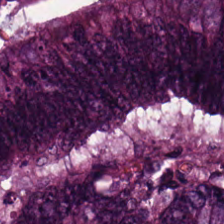WSI patch · hematoxylin-and-eosin stained section. Predominantly tumor epithelium.
